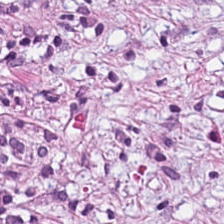H&E-stained tissue section.
The tissue is cancer-associated stroma.
